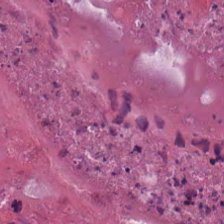H&E stain · formalin-fixed paraffin-embedded section. This field is cellular debris.
